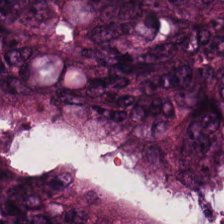224×224 pixel tile · hematoxylin-and-eosin stained section — The predominant tissue is tumor epithelium.
